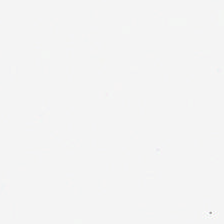Hematoxylin and eosin.
No tissue present; background only.
